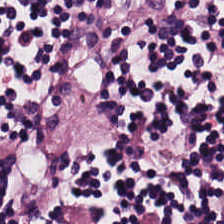FFPE tissue section. Hematoxylin and eosin. 0.5 microns per pixel.
This field is lymphoid infiltrate.
